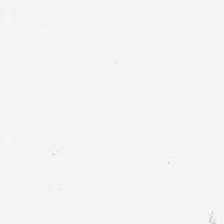H&E-stained tissue section; FFPE. Finding → empty background.
